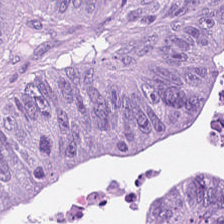H&E — The tissue is malignant epithelium.
